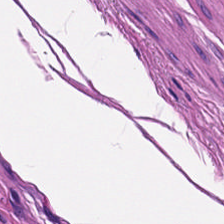H&E-stained tissue section. 224×224 px tile — Classification: smooth-muscle tissue.
